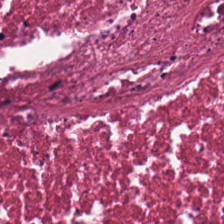Hematoxylin-and-eosin stained section.
{"tissue_type": "debris"}
